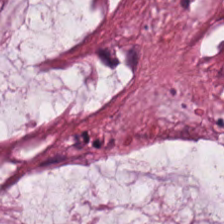H&E stain — Classification = mucus.
